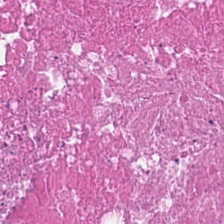H&E stain — Predominant tissue = cellular debris.
